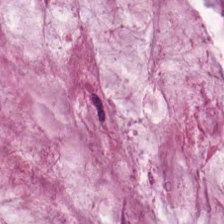H&E. The predominant tissue is mucin.
